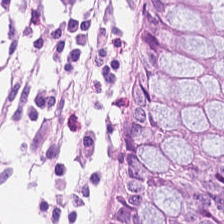Hematoxylin and eosin.
Normal colon mucosa.
